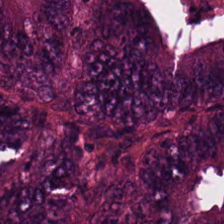Stain: H&E stain.
Preparation: FFPE.
Predominant tissue: colorectal adenocarcinoma epithelium.
